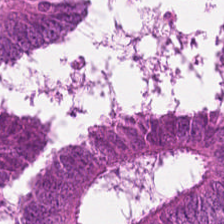H&E stain. 20× equivalent magnification. Colorectal adenocarcinoma epithelium.
